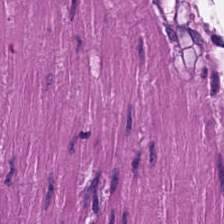Hematoxylin-and-eosin section: smooth muscle.
